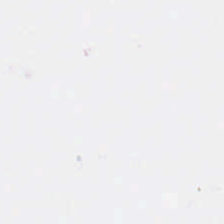20× equivalent magnification · whole-slide-image patch · H&E-stained tissue section. Content = background.
